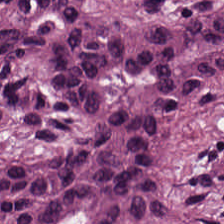Hematoxylin and eosin; brightfield microscopy; 0.5 microns per pixel — Predominant tissue — adenocarcinoma.
